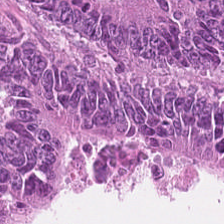Predominantly tumor epithelium.
